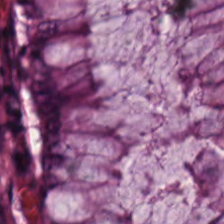H&E-stained tissue section. 0.5 µm per pixel. Predominantly normal colon mucosa.
